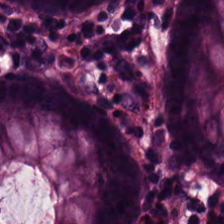Hematoxylin and eosin. The tissue here is benign colonic mucosa.
